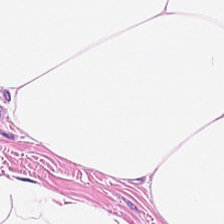Showing fat tissue.
